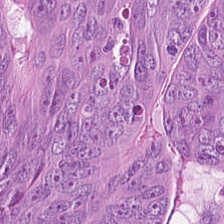H&E — Impression → tumor epithelium.
